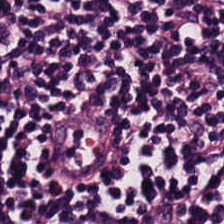Stain: H&E.
Resolution: 20× equivalent magnification.
Tile size: 224×224 px tile.
Tissue: lymphocytes.
